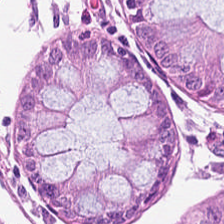H&E-stained tissue section.
Showing normal colonic mucosa.
